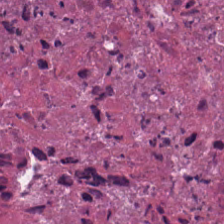Hematoxylin and eosin — Tissue type — cellular debris.
